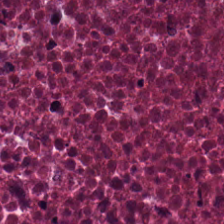FFPE; hematoxylin-and-eosin stained section — Q: What is the predominant tissue type?
A: Cellular debris.
